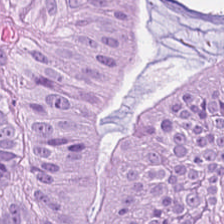H&E — tumor epithelium.
